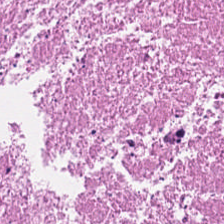224×224 px patch; H&E stain. The predominant tissue is debris.
